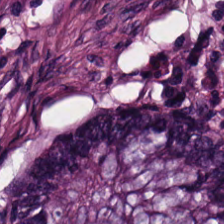H&E-stained tissue section · 224×224 px tile.
This field is normal colonic mucosa.
